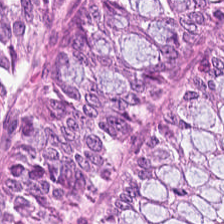H&E · 0.5 µm per pixel · brightfield microscopy — Q: What does this patch show?
A: This is benign colonic mucosa.
